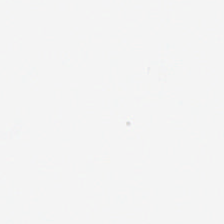Stain: H&E-stained tissue section.
Field content: background (no tissue).
